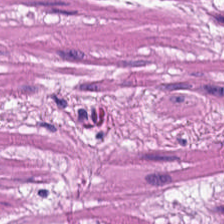Showing smooth-muscle tissue.
